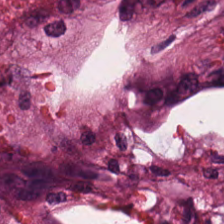Whole-slide-image patch. FFPE. H&E-stained tissue section. Showing necrotic debris.
